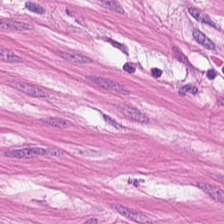Stain: H&E-stained tissue section.
Tissue type: smooth-muscle tissue.
